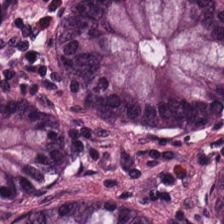FFPE tissue section; whole-slide-image patch; hematoxylin and eosin. Predominantly benign colonic mucosa.
